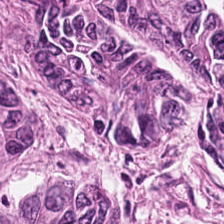Q: What is shown in this field?
A: It is tumor epithelium.
